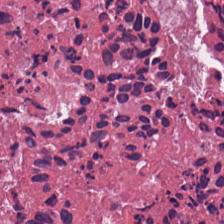H&E-stained tissue section. Finding → necrotic debris.
